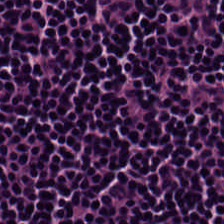H&E.
Tissue type — lymphocyte aggregate.
